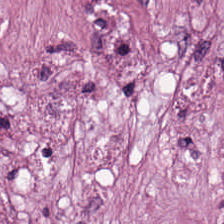FFPE tissue section · H&E stain.
{"tissue_type": "cancer-associated stroma"}
